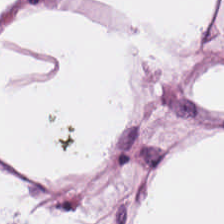Hematoxylin-and-eosin stained section.
Predominant tissue: adipose.
